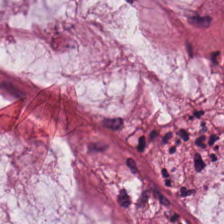224×224 px tile. H&E-stained tissue section. FFPE tissue section. Mucus.
